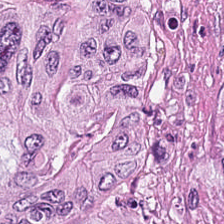20× equivalent magnification. Hematoxylin and eosin — Q: What does this patch show?
A: Colorectal adenocarcinoma.
